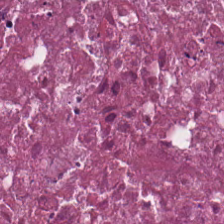H&E-stained tissue section.
Predominantly cellular debris.
